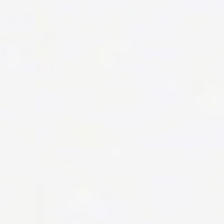Stain: H&E stain.
Content: background (no tissue).
